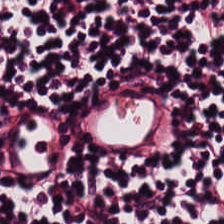FFPE. H&E stain — This patch shows lymphocytes.
